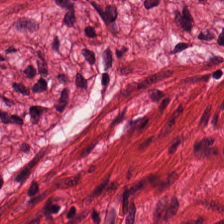0.5 µm per pixel. Hematoxylin-and-eosin stained section. Whole-slide-image patch.
Showing smooth-muscle tissue.
